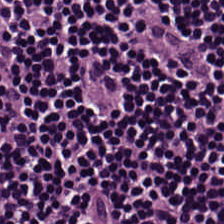H&E stain — Tissue type: lymphocytes.
